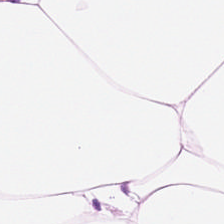FFPE tissue section · hematoxylin-and-eosin stained section — {"tissue_type": "fat tissue"}
